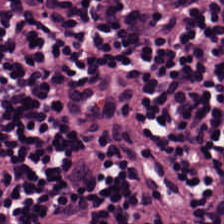H&E.
Finding — lymphocytes.
